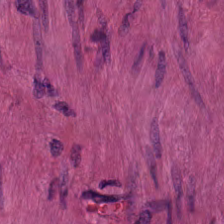FFPE. Brightfield microscopy. H&E stain — Q: What type of tissue is this?
A: Smooth-muscle tissue.
